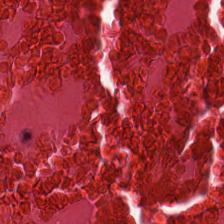Stain: H&E-stained tissue section.
Resolution: 0.5 µm per pixel.
Tissue: debris.
